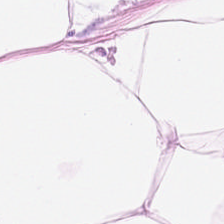Tissue class: adipocytes.
